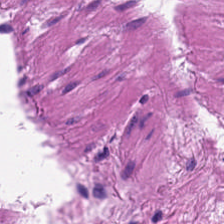H&E-stained tissue section. Formalin-fixed paraffin-embedded section.
Smooth-muscle tissue.
